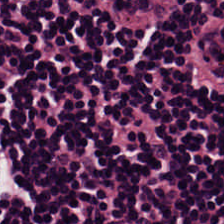Finding → lymphoid infiltrate.
